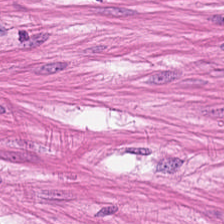224×224 pixel tile; 0.5 microns per pixel; H&E stain — Tissue: smooth-muscle tissue.
